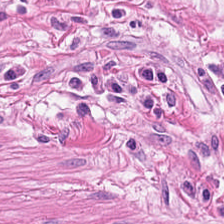Hematoxylin and eosin — Impression — smooth muscle.
